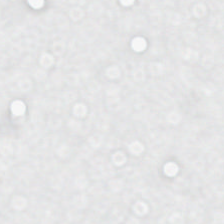Hematoxylin-and-eosin stained section. Q: What is shown here?
A: This is background.
